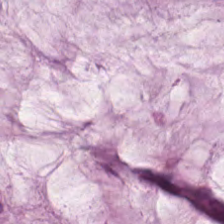224×224 px patch · brightfield · hematoxylin and eosin — Predominantly extracellular mucin.
